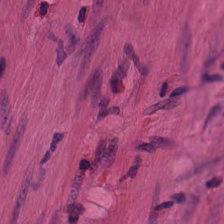Predominantly smooth-muscle tissue.
